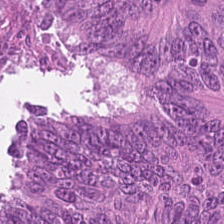Hematoxylin and eosin. 224×224 pixel tile — Q: What type of tissue is this?
A: Colorectal adenocarcinoma.
